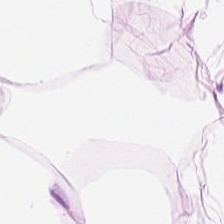H&E patch showing fat tissue.
